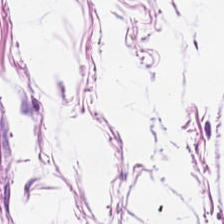20× equivalent magnification; H&E; brightfield — Tissue class — adipocytes.
